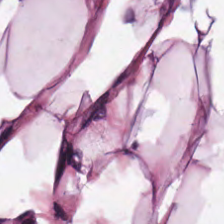Whole-slide-image patch · H&E-stained tissue section.
Q: What is the predominant tissue type?
A: The field shows adipocytes.
